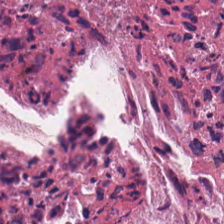0.5 µm/px. H&E-stained tissue section. {"tissue_type": "debris"}
